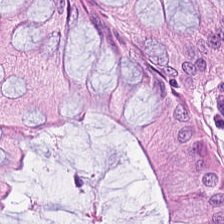Classification — normal colonic mucosa.
